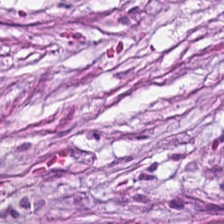H&E-stained tissue section.
Q: What tissue is shown?
A: This is cancer-associated stroma.
